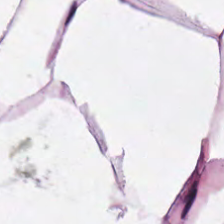Hematoxylin and eosin. Whole-slide-image patch — This field is fat tissue.
